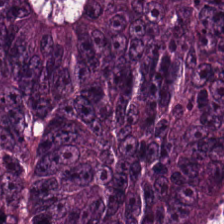Hematoxylin-and-eosin stained section — This field is colorectal adenocarcinoma.
